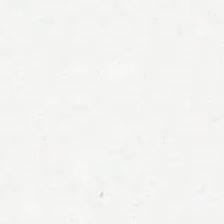224×224 px patch · hematoxylin and eosin — Content — background (no tissue).
